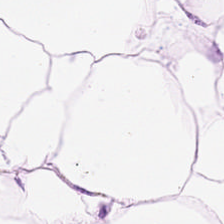224×224 px patch · H&E-stained tissue section — This field is adipose tissue.
